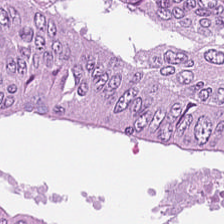H&E stain — Q: What does this patch show?
A: This is colorectal adenocarcinoma epithelium.
